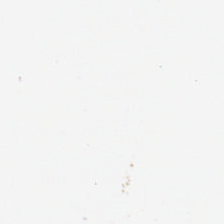224×224 px patch · H&E-stained tissue section · brightfield microscopy.
This patch shows no tissue.
